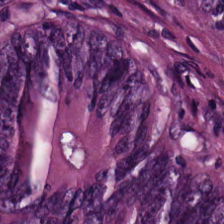The tissue here is tumor epithelium.
